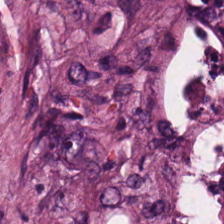Hematoxylin-and-eosin stained section.
Impression — tumor-associated stroma.
